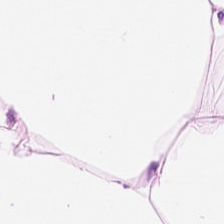Classification = adipocytes.
